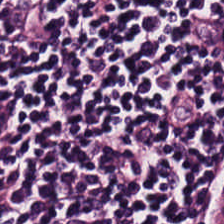The tissue here is lymphoid infiltrate.
